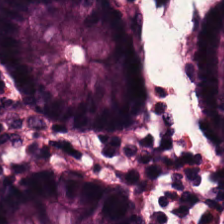H&E — normal colon mucosa.
